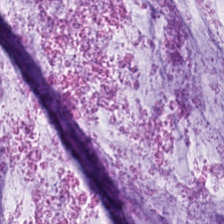Hematoxylin and eosin. Whole-slide-image patch.
Extracellular mucin.
